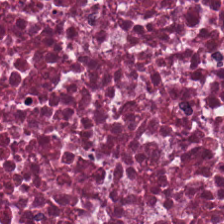H&E stain.
Q: What is the predominant tissue type?
A: It is necrotic debris.
